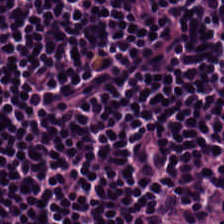Q: What is the predominant tissue type?
A: It is lymphocytic infiltrate.
